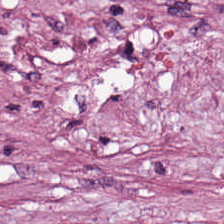H&E — Tissue type — desmoplastic stroma.
